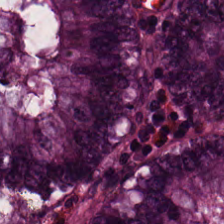H&E stain. Predominantly normal colonic mucosa.
